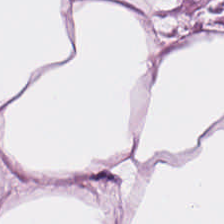H&E stain. The tissue is adipose.
